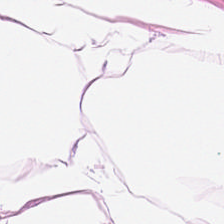Stain: hematoxylin and eosin.
Tissue class: adipose tissue.
